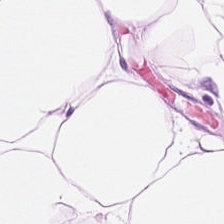H&E-stained tissue section.
The tissue here is adipose.
